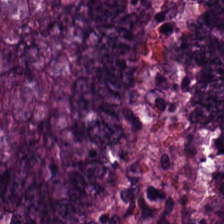0.5 µm/px. H&E. Brightfield. Classification = colorectal adenocarcinoma epithelium.
